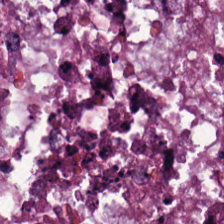Finding → colorectal adenocarcinoma.
